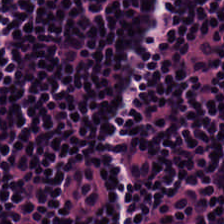H&E stain · 0.5 µm/px — Predominantly lymphocyte aggregate.
